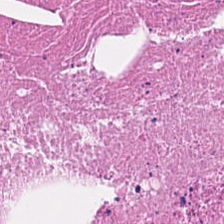Hematoxylin and eosin. The classification is debris.
